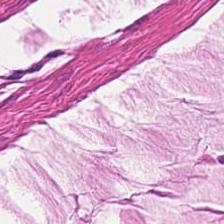H&E-stained tissue section · FFPE.
The tissue here is smooth muscle.
